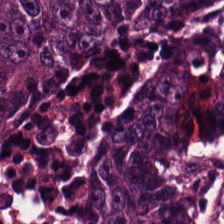Showing adenocarcinoma.
